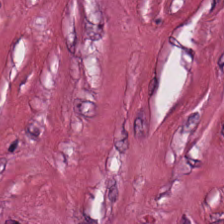0.5 µm/px. Whole-slide-image patch. H&E-stained tissue section — Finding → cancer-associated stroma.
